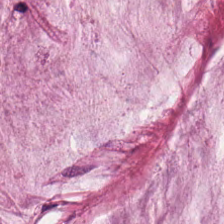H&E stain — Predominant tissue: mucus.
